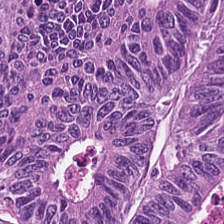H&E-stained tissue section.
Tissue type: malignant epithelium.
